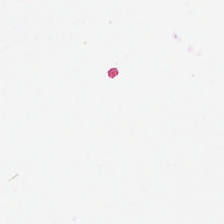Finding — no tissue.
